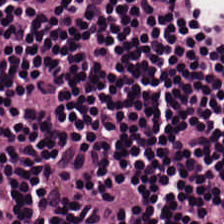H&E.
This field is lymphocytic infiltrate.
